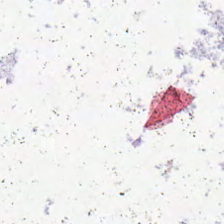H&E stain — Q: What is shown here?
A: It is background.
